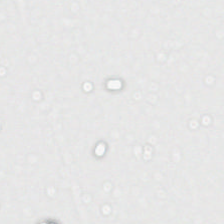No tissue present; background only.
